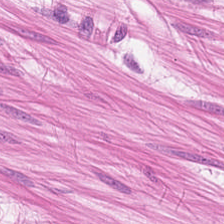FFPE. Hematoxylin and eosin. Brightfield microscopy.
This patch shows smooth muscle.
